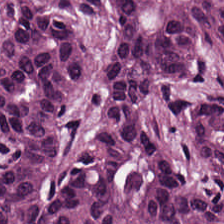Q: What is shown here?
A: It is colorectal adenocarcinoma.
